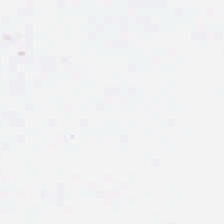H&E-stained tissue section. Brightfield. 224×224 px tile — Q: Classify this patch.
A: Background (no tissue).
